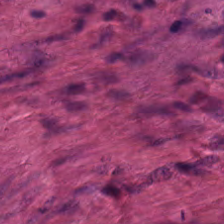H&E — Tissue — smooth muscle.
